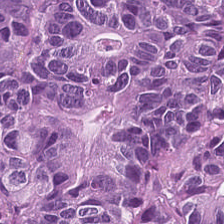Hematoxylin and eosin. This patch shows tumor epithelium.
